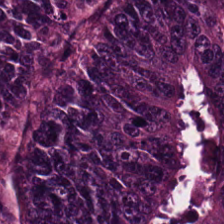Hematoxylin and eosin. WSI patch. Formalin-fixed paraffin-embedded section — The predominant tissue is adenocarcinoma.
